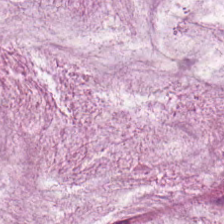Brightfield · FFPE · hematoxylin and eosin. Q: What does this patch show?
A: It is extracellular mucin.
